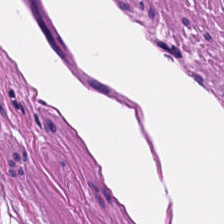Q: What type of tissue is this?
A: This is smooth muscle.
